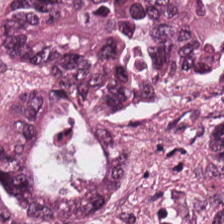224×224 px tile. Formalin-fixed paraffin-embedded section. H&E stain.
Predominantly malignant epithelium.
